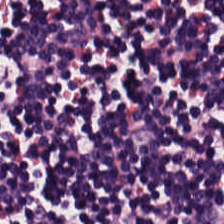0.5 microns per pixel · H&E-stained tissue section · brightfield — Impression → lymphocytes.
